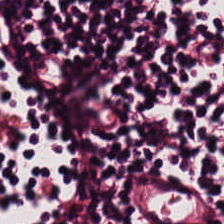This field is lymphocytic infiltrate.
